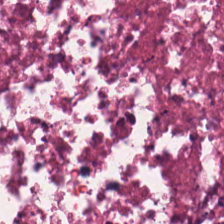{"tissue_type": "cellular debris"}
